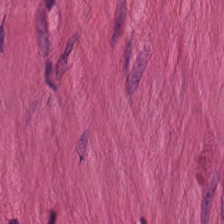0.5 µm per pixel. H&E.
Muscularis.
